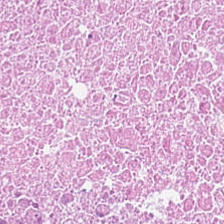Whole-slide-image patch · 20× equivalent magnification · hematoxylin and eosin.
Tissue type = necrotic debris.
